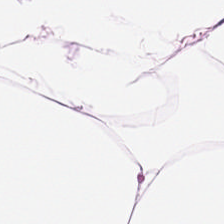Finding — adipose.
